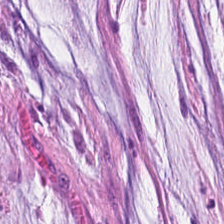FFPE tissue section; hematoxylin-and-eosin stained section.
Mucus.
